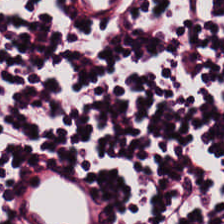H&E.
The predominant tissue is lymphocytic infiltrate.
